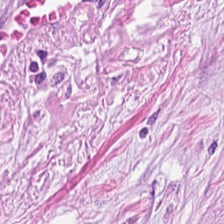H&E-stained tissue section — Impression — tumor stroma.
